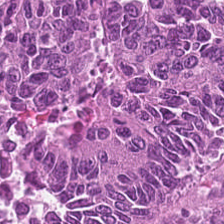Hematoxylin-and-eosin stained section — Predominant tissue — adenocarcinoma.
